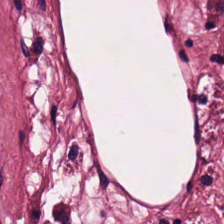224×224 pixel tile; hematoxylin-and-eosin stained section. Predominantly tumor stroma.
